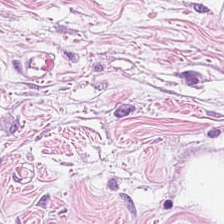Hematoxylin and eosin — Fat tissue.
